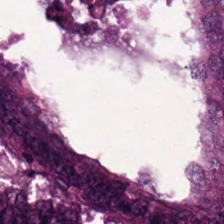Hematoxylin-and-eosin stained section. Q: What does this patch show?
A: The field shows malignant epithelium.
